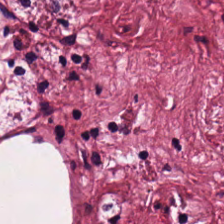H&E-stained tissue section. Q: What type of tissue is this?
A: It is cancer-associated stroma.
